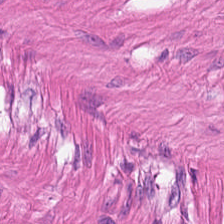Hematoxylin and eosin. {"tissue_type": "smooth-muscle tissue"}
